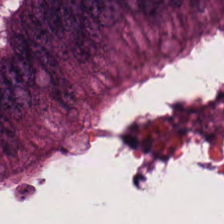H&E-stained tissue section.
Histology → colorectal adenocarcinoma.
